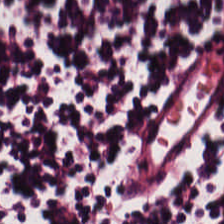Stain: H&E.
Classification: lymphocytic infiltrate.
